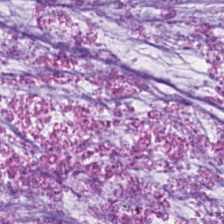H&E · FFPE tissue section.
The tissue here is mucin.
